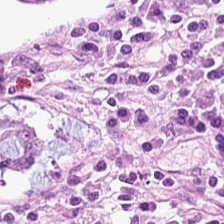Stain: H&E stain.
Tissue: normal colon mucosa.
